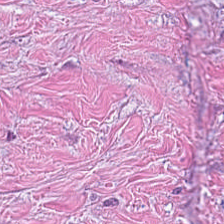H&E. {"tissue_type": "cancer-associated stroma"}
